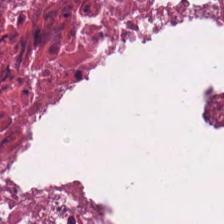Finding → necrotic debris.
